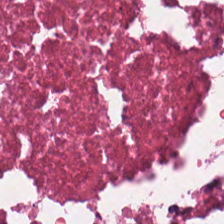Stain: hematoxylin-and-eosin stained section.
Tissue class: cellular debris.
